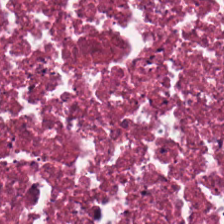Brightfield; H&E. Q: What is shown in this field?
A: It is necrotic debris.
